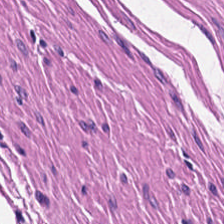FFPE. 224×224 px tile. H&E-stained tissue section — This patch shows muscularis.
